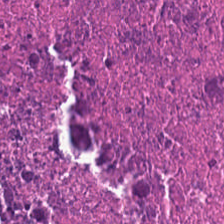Q: What does this patch show?
A: Debris.
